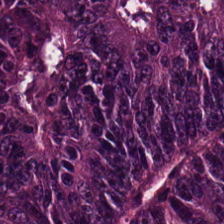FFPE tissue section. Hematoxylin and eosin. 0.5 µm/px. The predominant tissue is colorectal adenocarcinoma epithelium.
